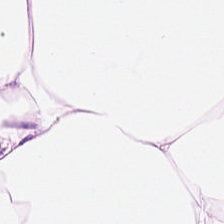Stain: H&E stain.
Preparation: FFPE tissue section.
Tissue class: adipose.
